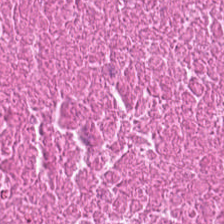Hematoxylin and eosin. Q: What tissue is shown?
A: It is cellular debris.
